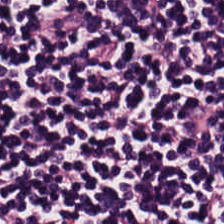Hematoxylin and eosin · 20× equivalent magnification · FFPE.
Tissue class: lymphocytes.
